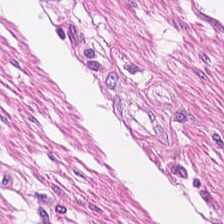H&E — Smooth muscle.
